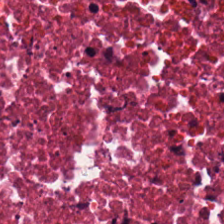H&E — Showing cellular debris.
